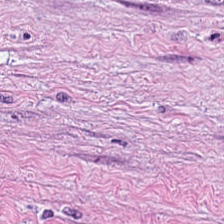H&E.
Finding — tumor-associated stroma.
